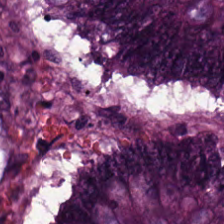H&E stain.
Predominantly colorectal adenocarcinoma epithelium.
